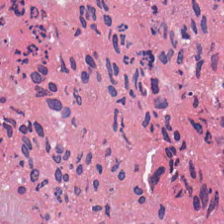Hematoxylin and eosin.
Q: Identify the tissue.
A: This is necrotic debris.
